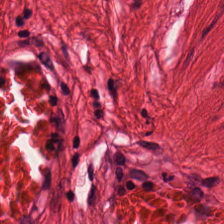Hematoxylin and eosin.
Smooth-muscle tissue.
